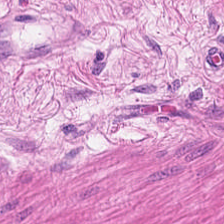WSI patch · H&E · formalin-fixed paraffin-embedded section. Smooth-muscle tissue.
